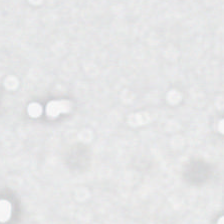Hematoxylin-and-eosin stained section. Empty field — background.
